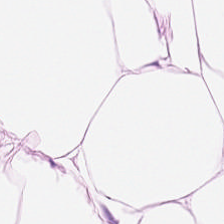Hematoxylin-and-eosin stained section — This field is adipose tissue.
